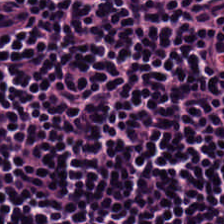Impression → lymphocyte aggregate.
